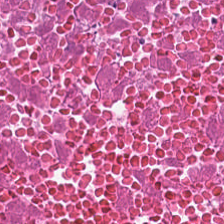H&E stain. 224×224 pixel tile — Q: Identify the tissue.
A: It is necrotic debris.
